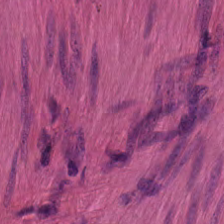224×224 px tile. H&E. Brightfield.
Muscularis.
